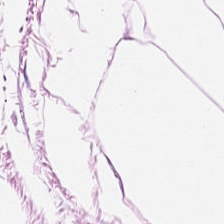The tissue here is adipocytes.
